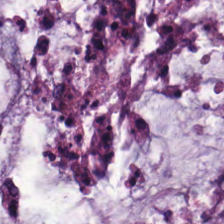Hematoxylin-and-eosin stained section. WSI patch. FFPE tissue section — Mucus.
